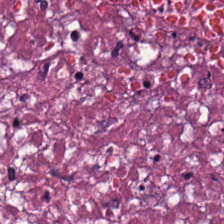Hematoxylin-and-eosin stained section; 224×224 pixel tile — The tissue here is necrotic debris.
